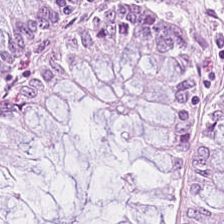0.5 µm per pixel · hematoxylin and eosin · 224×224 px tile.
Tissue = normal colon mucosa.
